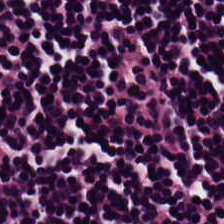H&E. 224×224 px tile. Formalin-fixed paraffin-embedded section.
Lymphocytic infiltrate.
